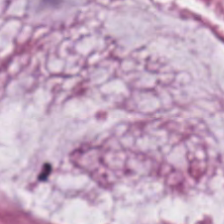Stain: H&E.
Tissue: mucus.
